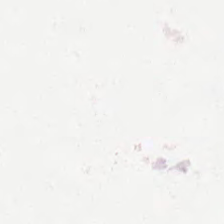Histology → background.
